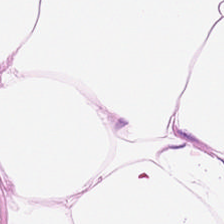H&E stain.
Q: What does this patch show?
A: The field shows fat tissue.
